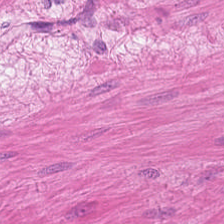Stain: H&E stain.
Tissue type: smooth muscle.
